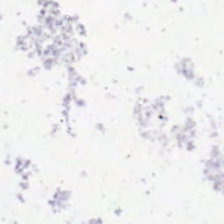Hematoxylin and eosin; 20× equivalent magnification — Field content: background (no tissue).
